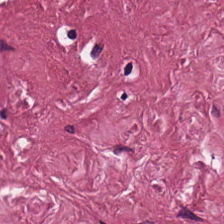H&E-stained tissue section — Histology — cancer-associated stroma.
